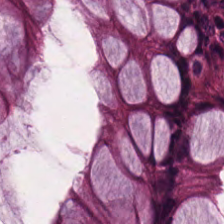Hematoxylin and eosin — This field is benign colonic mucosa.
